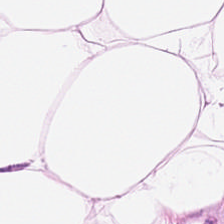{"tissue_type": "adipose tissue"}
